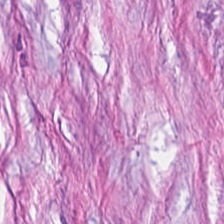H&E. 20× equivalent magnification.
The classification is tumor-associated stroma.
